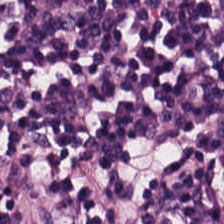Q: Classify this patch.
A: This is lymphocyte aggregate.
